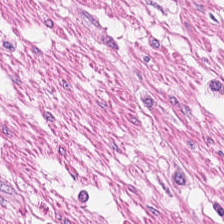Stain: H&E.
Tile size: 224×224 px tile.
Predominant tissue: smooth muscle.
